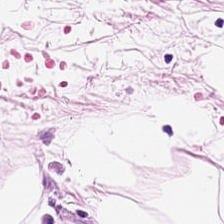Tissue type = adipose.
